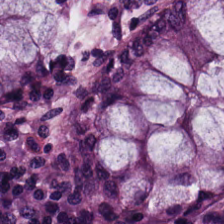Hematoxylin-and-eosin stained section. Formalin-fixed paraffin-embedded section — Classification = normal colon mucosa.
